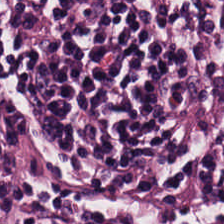Formalin-fixed paraffin-embedded section · 224×224 px tile · H&E stain.
Finding — lymphocytes.
